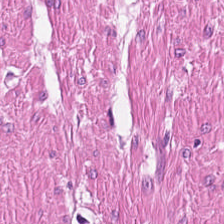Stain: hematoxylin and eosin.
Acquisition: brightfield microscopy.
Predominant tissue: smooth-muscle tissue.
